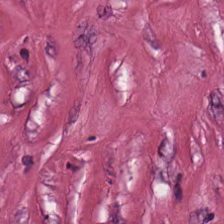H&E stain · 0.5 µm/px · FFPE. Q: What tissue type is shown here?
A: Tumor-associated stroma.
